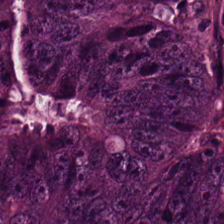The predominant tissue is malignant epithelium.
